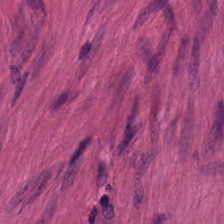Finding → muscularis.
